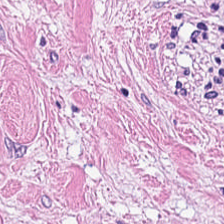H&E stain. Tissue type — tumor stroma.
